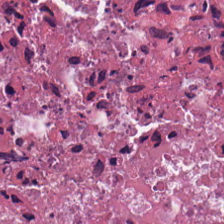H&E-stained tissue section — Q: What does this patch show?
A: The field shows cellular debris.
